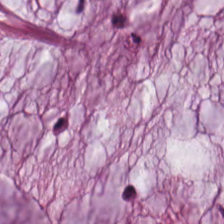Hematoxylin-and-eosin stained section — {"tissue_type": "mucus"}
